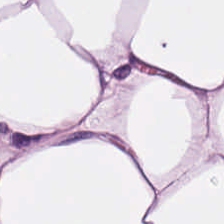Hematoxylin and eosin. This patch shows adipose tissue.
